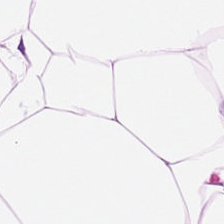0.5 microns per pixel; hematoxylin-and-eosin stained section — Predominantly fat tissue.
